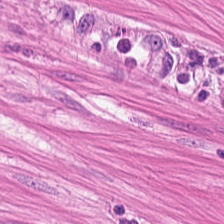Hematoxylin and eosin.
Q: What does this patch show?
A: Smooth-muscle tissue.
